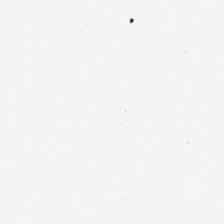H&E. No tissue.
